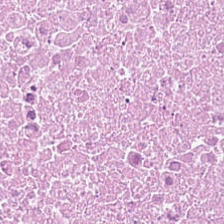Stain: H&E.
Tissue: necrotic debris.
